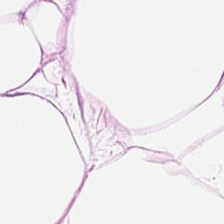H&E — adipose tissue.
